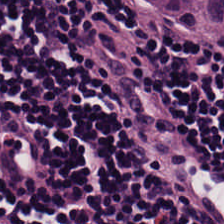Stain: hematoxylin-and-eosin stained section.
Tissue class: lymphocytes.
